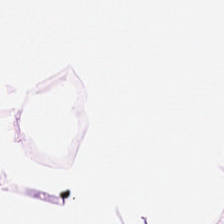Tissue type: adipocytes.
